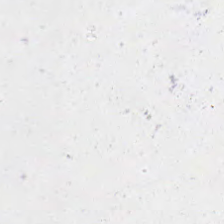Formalin-fixed paraffin-embedded section. H&E-stained tissue section — Classification — empty background.
